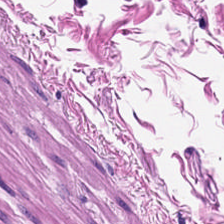Predominant tissue: muscularis.
